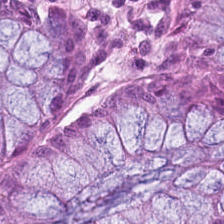WSI patch · hematoxylin-and-eosin stained section · formalin-fixed paraffin-embedded section.
This patch shows non-neoplastic colon mucosa.
